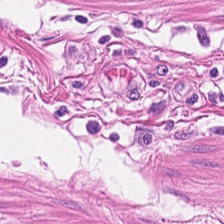224×224 px tile. Hematoxylin and eosin. Classification — smooth muscle.
